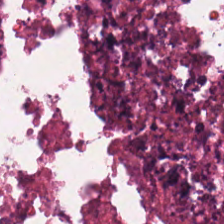FFPE tissue section. Hematoxylin and eosin. Showing cellular debris.
